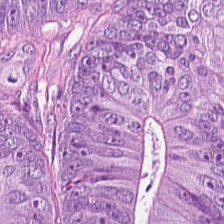H&E stain. Adenocarcinoma.
